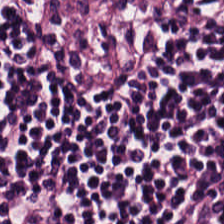WSI patch · H&E-stained tissue section. Q: What tissue is shown?
A: It is lymphoid infiltrate.
